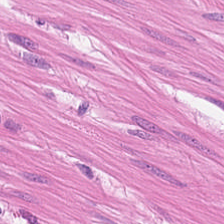Predominant tissue: smooth muscle.
